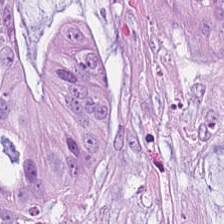Predominant tissue — extracellular mucin.
